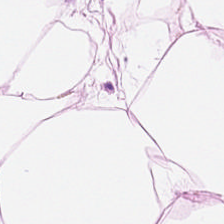H&E · 0.5 µm/px.
Fat tissue.
